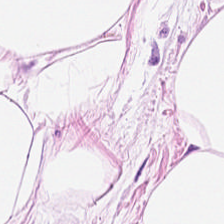H&E stain. FFPE. 224×224 pixel tile. Showing adipose tissue.
